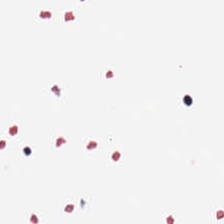H&E · 224×224 px patch.
No tissue present; background only.
